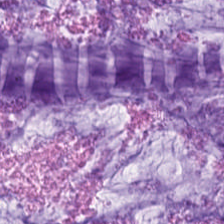0.5 microns per pixel · hematoxylin and eosin.
The predominant tissue is mucus.
